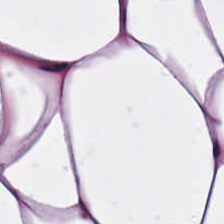H&E — Predominantly adipose tissue.
